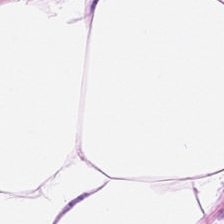Hematoxylin and eosin — Showing adipose.
